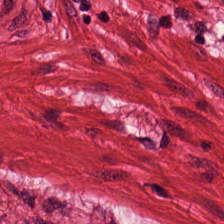0.5 µm per pixel. Brightfield microscopy. H&E — Finding → muscularis.
